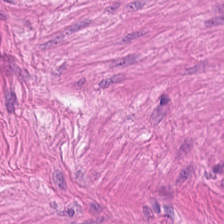H&E-stained section; the field shows smooth-muscle tissue.
